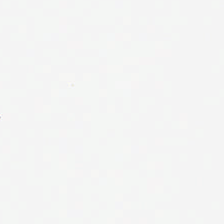H&E. 0.5 microns per pixel. Brightfield microscopy. No tissue present; background only.
